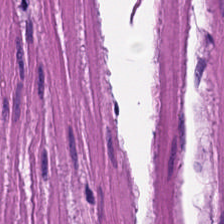Hematoxylin-and-eosin stained section — Q: What is shown here?
A: The field shows smooth muscle.
